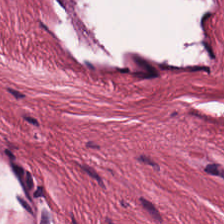The tissue here is tumor stroma.
